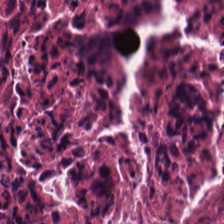Showing cellular debris.
